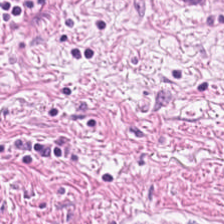Stain: hematoxylin and eosin.
Classification: smooth muscle.
